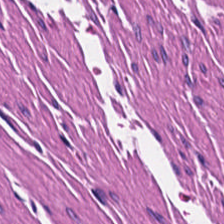0.5 microns per pixel; H&E-stained tissue section.
Histology → smooth muscle.
